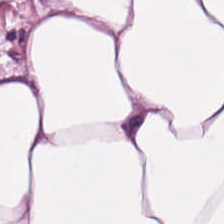Adipose.
